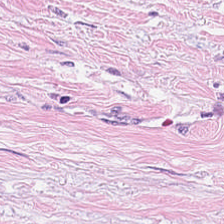224×224 pixel tile; H&E — Tissue — desmoplastic stroma.
